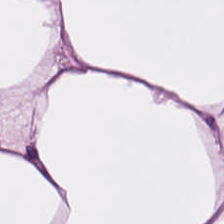Stain: H&E-stained tissue section.
Tile size: 224×224 px patch.
Predominant tissue: adipose tissue.
